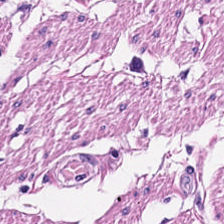H&E-stained tissue section — This patch shows smooth-muscle tissue.
